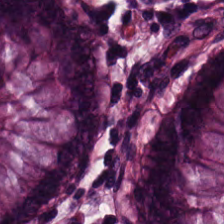Tissue type: benign colonic mucosa.
